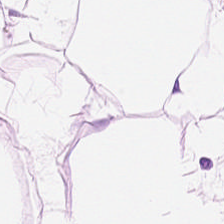This patch shows adipose.
